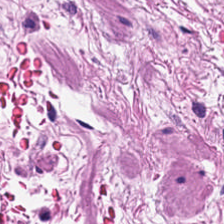Hematoxylin-and-eosin stained section — Tissue class: smooth-muscle tissue.
